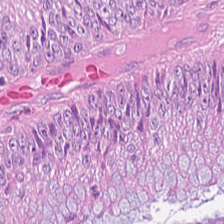H&E stain. Brightfield microscopy. Formalin-fixed paraffin-embedded section — The tissue here is malignant epithelium.
